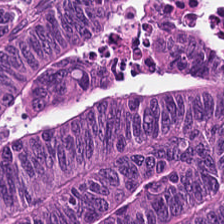Stain: H&E-stained tissue section.
Tissue type: adenocarcinoma.
